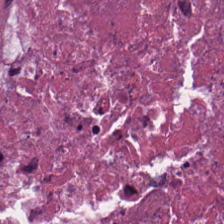Brightfield microscopy · H&E stain · 224×224 px patch. Finding → necrotic debris.
